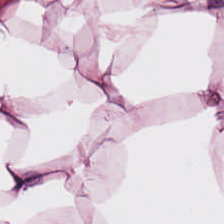H&E stain · whole-slide-image patch · formalin-fixed paraffin-embedded section — Tissue type = adipose.
